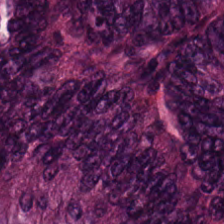H&E.
Tissue type: colorectal adenocarcinoma.
